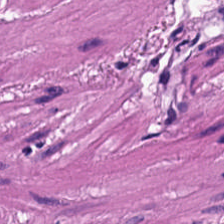Stain: H&E.
Tissue: smooth-muscle tissue.
